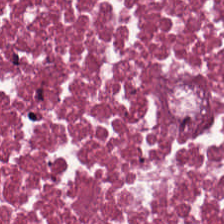H&E-stained tissue section · 0.5 µm/px · FFPE tissue section.
The tissue type is necrotic debris.
